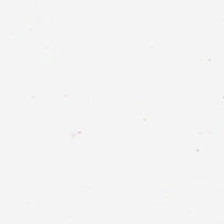FFPE; hematoxylin and eosin; 224×224 px tile.
The content is background (no tissue).
